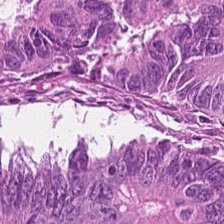Whole-slide-image patch; hematoxylin and eosin; 224×224 pixel tile. Predominantly adenocarcinoma.
